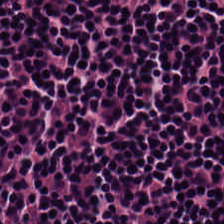Brightfield microscopy; FFPE tissue section; H&E-stained tissue section. Q: What is shown in this field?
A: The field shows lymphocytic infiltrate.
